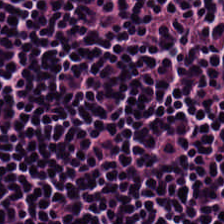Finding — lymphocyte aggregate.
